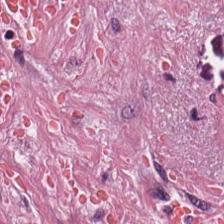Tissue type: tumor stroma.
